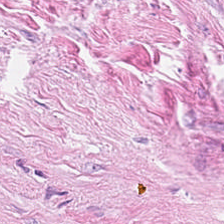Hematoxylin and eosin — Finding → tumor-associated stroma.
